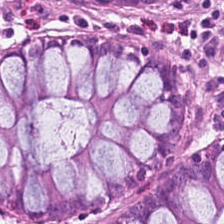0.5 µm per pixel. 224×224 px patch. Hematoxylin-and-eosin stained section.
Q: What is shown here?
A: It is normal colon mucosa.
